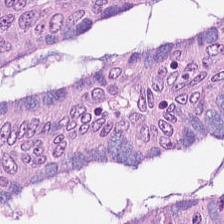Hematoxylin-and-eosin stained section — The tissue type is colorectal adenocarcinoma epithelium.
